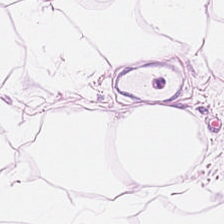H&E — This patch shows adipose tissue.
